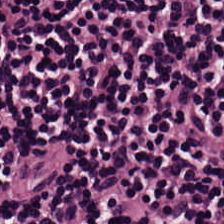The predominant tissue is lymphocytes.
